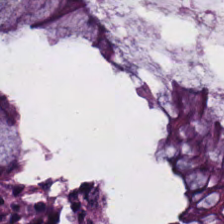Hematoxylin-and-eosin stained section — Predominant tissue — benign colonic mucosa.
